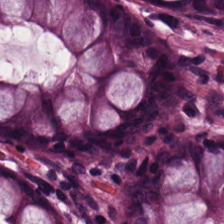H&E; WSI patch; 224×224 pixel tile — Showing benign colonic mucosa.
